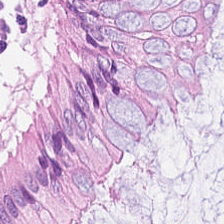Hematoxylin-and-eosin stained section. Tissue type: normal colonic mucosa.
